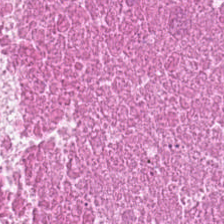Hematoxylin-and-eosin stained section.
Q: What does this patch show?
A: It is cellular debris.
